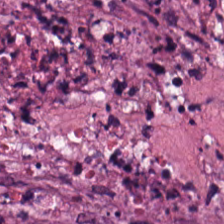Whole-slide-image patch. H&E.
The tissue class is debris.
